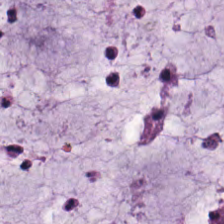H&E-stained tissue section; WSI patch — Predominant tissue = extracellular mucin.
